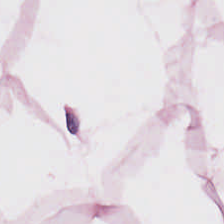H&E. This field is adipose.
